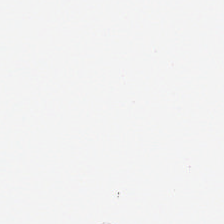H&E stain.
Classification = empty background.
